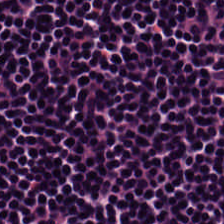Hematoxylin-and-eosin section: lymphocytes.
